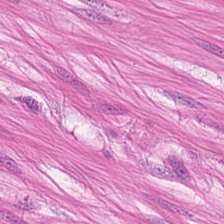H&E stain. Smooth muscle.
